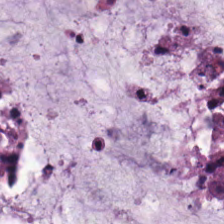0.5 µm per pixel; 224×224 px patch; H&E. Tissue — mucus.
